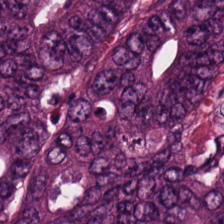H&E-stained tissue section showing tumor epithelium.
